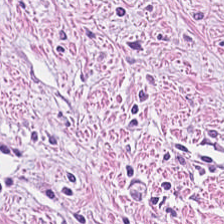H&E stain — Tumor-associated stroma.
